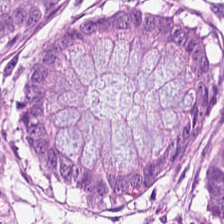Brightfield microscopy · H&E stain.
The predominant tissue is benign colonic mucosa.
